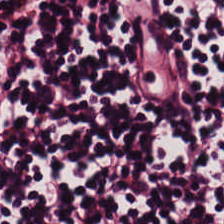Hematoxylin-and-eosin stained section.
{"tissue_type": "lymphocytic infiltrate"}
